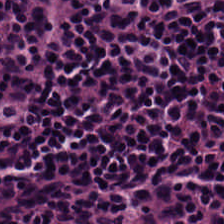H&E-stained tissue section; 0.5 µm per pixel. The predominant tissue is lymphoid infiltrate.
